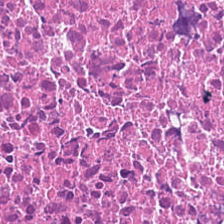H&E · 224×224 px patch.
Impression — necrotic debris.
